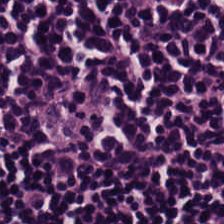Lymphocytic infiltrate.
